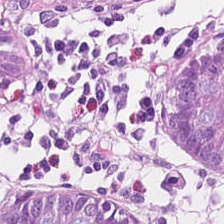H&E stain — Histology — non-neoplastic colon mucosa.
